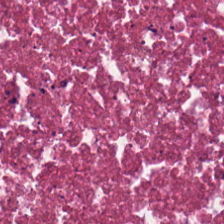224×224 px tile · H&E — Tissue: cellular debris.
